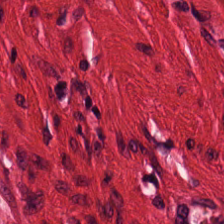H&E — This patch shows smooth muscle.
